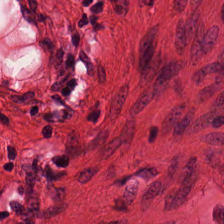H&E-stained tissue section · 0.5 µm/px · formalin-fixed paraffin-embedded section.
Predominantly smooth muscle.
